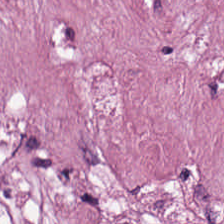Stain: hematoxylin and eosin.
Predominant tissue: desmoplastic stroma.
